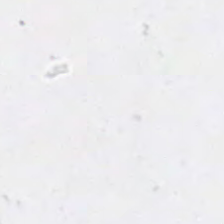224×224 px patch. 20× equivalent magnification. Hematoxylin and eosin. Classification — no tissue.
